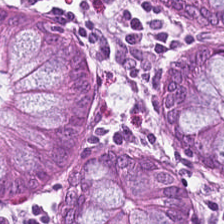The tissue is normal colonic mucosa.
